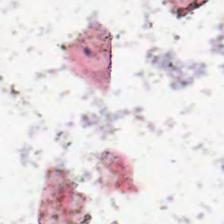0.5 µm/px · formalin-fixed paraffin-embedded section · H&E stain. Q: Classify this patch.
A: This is background.
